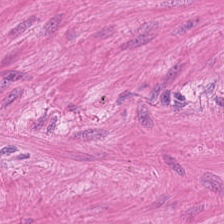{"tissue_type": "muscularis"}
